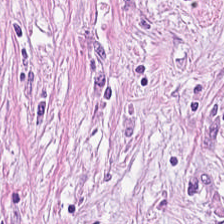H&E.
The tissue here is tumor-associated stroma.
